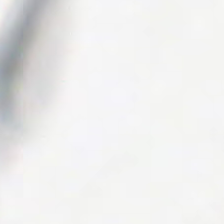Whole-slide-image patch · H&E-stained tissue section.
Classification = empty background.
